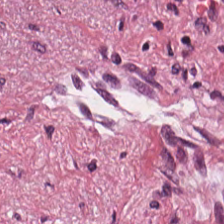Stain: hematoxylin-and-eosin stained section.
Tissue: tumor-associated stroma.
